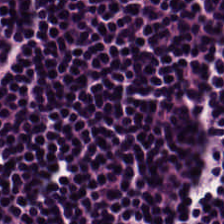Hematoxylin and eosin · brightfield microscopy · formalin-fixed paraffin-embedded section — Q: What tissue is shown?
A: The field shows lymphoid infiltrate.
